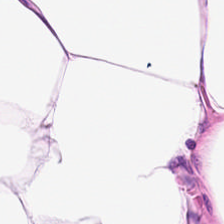H&E-stained section; the field shows adipocytes.
